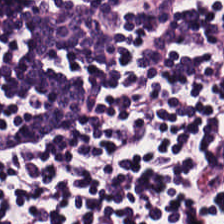Tissue type = lymphocytic infiltrate.
